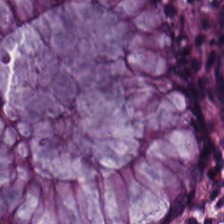Hematoxylin and eosin.
Histology → non-neoplastic colon mucosa.
